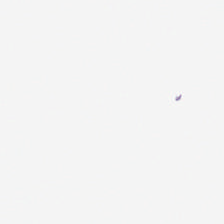Field content — background (no tissue).
